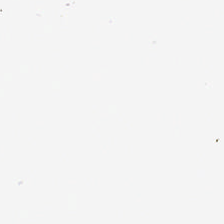Hematoxylin-and-eosin stained section.
No tissue.
